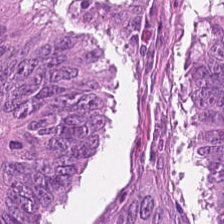20× equivalent magnification; hematoxylin and eosin.
Tissue = malignant epithelium.
